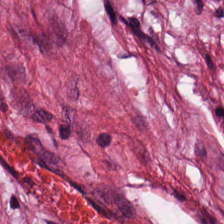0.5 µm/px. H&E stain.
Predominantly tumor-associated stroma.
